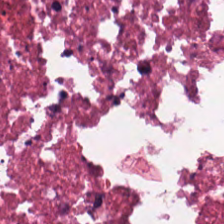Whole-slide-image patch; hematoxylin and eosin. Histology → cellular debris.
